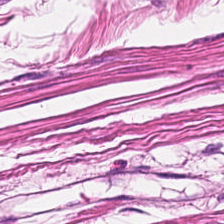WSI patch; H&E stain. Tissue class = muscularis.
